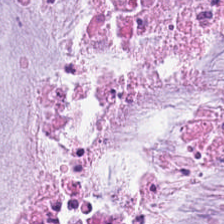Hematoxylin and eosin. This patch shows mucus.
